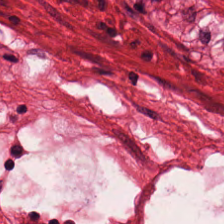H&E-stained tissue section showing smooth muscle.
